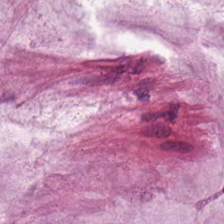Q: Identify the tissue.
A: It is mucin.
